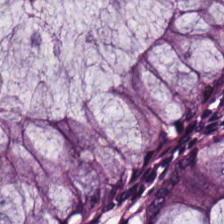Showing non-neoplastic colon mucosa.
